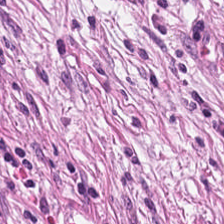H&E-stained tissue section. This field is tumor-associated stroma.
